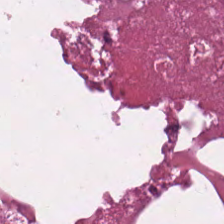Stain: hematoxylin and eosin.
Tissue type: necrotic debris.
